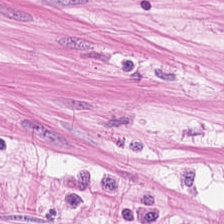Hematoxylin and eosin · 0.5 microns per pixel.
{"tissue_type": "muscularis"}
